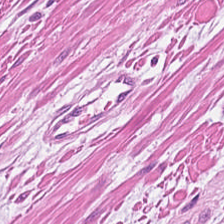0.5 µm/px; 224×224 px tile; H&E stain — The classification is smooth-muscle tissue.
